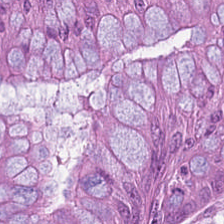Stain: H&E.
Predominant tissue: colorectal adenocarcinoma epithelium.
